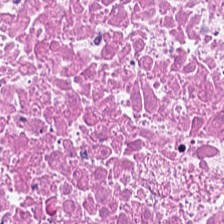Hematoxylin and eosin.
{"tissue_type": "debris"}
